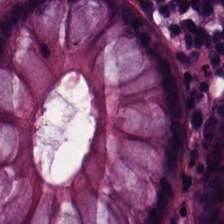20× equivalent magnification; hematoxylin-and-eosin stained section. Showing non-neoplastic colon mucosa.
